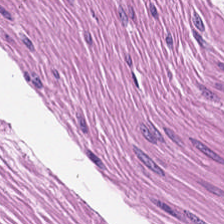20× equivalent magnification; hematoxylin-and-eosin stained section. Histology → smooth-muscle tissue.
